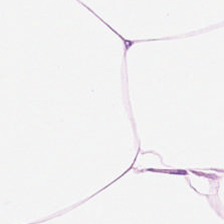Formalin-fixed paraffin-embedded section · WSI patch · H&E-stained tissue section.
Q: Classify this patch.
A: The field shows adipose.
